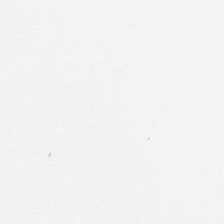Whole-slide-image patch · formalin-fixed paraffin-embedded section · H&E stain — Q: Classify this patch.
A: Background.
